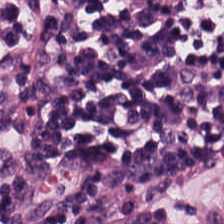Brightfield. 224×224 px tile. Hematoxylin and eosin. {"tissue_type": "lymphocytic infiltrate"}
